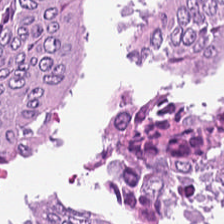Stain: hematoxylin and eosin.
Tissue type: colorectal adenocarcinoma epithelium.
